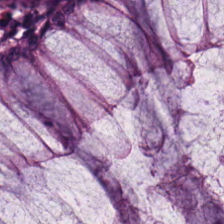Hematoxylin and eosin · whole-slide-image patch — This patch shows normal colonic mucosa.
